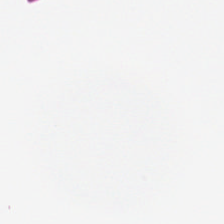Hematoxylin-and-eosin stained section. Empty field — background.
